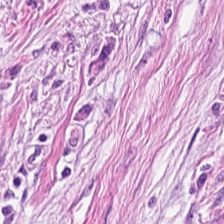H&E. Tissue class — cancer-associated stroma.
